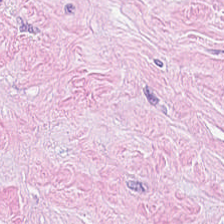The tissue here is desmoplastic stroma.
